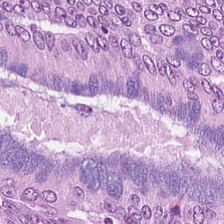Formalin-fixed paraffin-embedded section · H&E stain — The tissue here is malignant epithelium.
